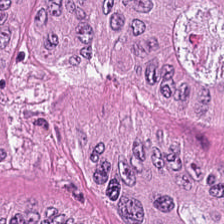WSI patch; hematoxylin and eosin; FFPE. The tissue is adenocarcinoma.
